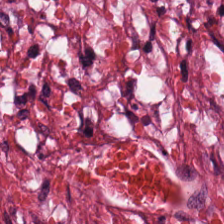Finding → cancer-associated stroma.
